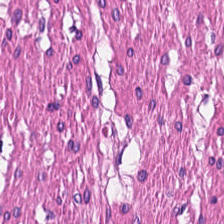The predominant tissue is muscularis.
